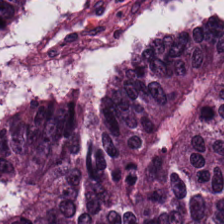Hematoxylin and eosin · 224×224 pixel tile · 0.5 µm per pixel. This patch shows adenocarcinoma.
